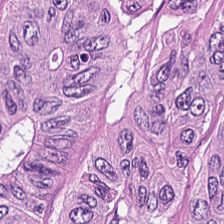WSI patch. Hematoxylin and eosin.
This field is adenocarcinoma.
